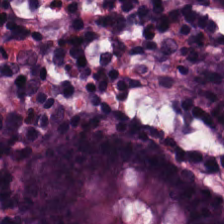FFPE. Hematoxylin-and-eosin stained section — Predominant tissue = normal colonic mucosa.
